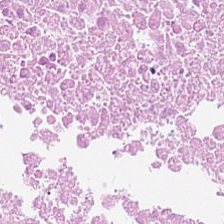H&E — Predominantly necrotic debris.
